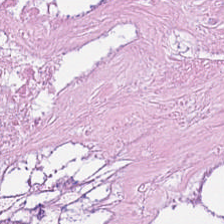H&E-stained tissue section. Tissue class: debris.
